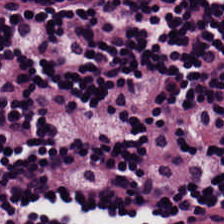0.5 microns per pixel. Hematoxylin-and-eosin stained section. 224×224 px tile.
Impression → lymphocytic infiltrate.
